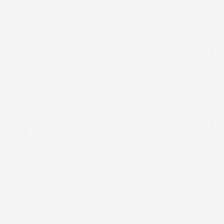Hematoxylin-and-eosin stained section. The content is background (no tissue).
